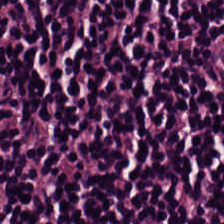Stain: H&E-stained tissue section.
Tissue class: lymphocytes.
